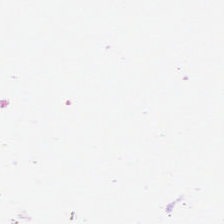Stain: hematoxylin and eosin.
Classification: no tissue.
